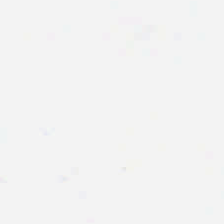H&E-stained tissue section. Brightfield microscopy. 0.5 µm/px — Classification: background (no tissue).
